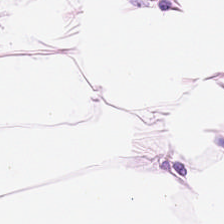This field is adipose tissue.
